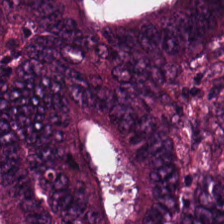FFPE tissue section; hematoxylin and eosin — Histology — malignant epithelium.
